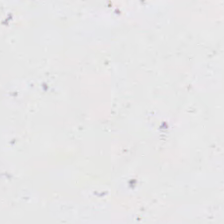H&E stain. Content — no tissue.
